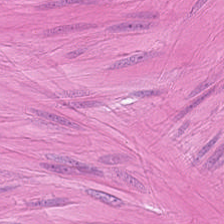Q: What type of tissue is this?
A: It is muscularis.
